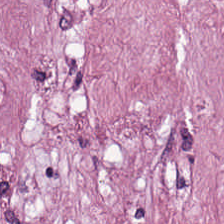Hematoxylin and eosin · 0.5 microns per pixel · whole-slide-image patch.
Tumor-associated stroma.
